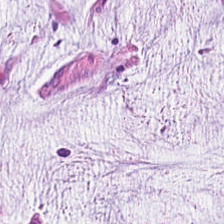H&E; 224×224 pixel tile; formalin-fixed paraffin-embedded section.
Finding → mucin.
